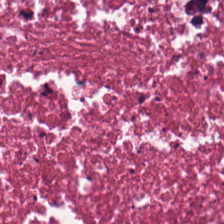Stain: hematoxylin-and-eosin stained section.
Tissue type: debris.
